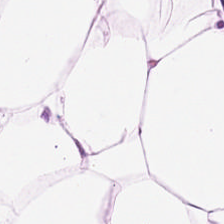Tissue class = adipocytes.
